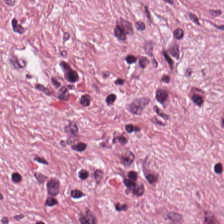FFPE · 0.5 µm/px · hematoxylin and eosin.
Showing desmoplastic stroma.
